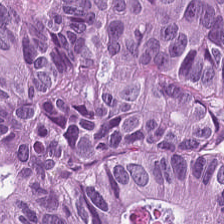H&E.
This field is malignant epithelium.
